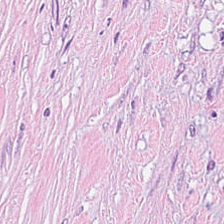Stain: H&E-stained tissue section.
Classification: desmoplastic stroma.
